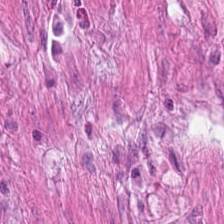H&E stain — The tissue class is smooth-muscle tissue.
